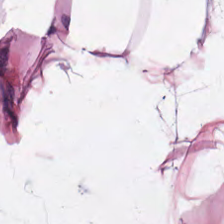H&E — adipose tissue.
